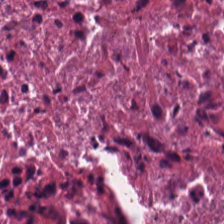H&E · 224×224 pixel tile — Necrotic debris.
